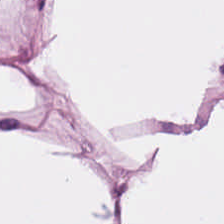Whole-slide-image patch; 0.5 µm per pixel; H&E stain — Classification: adipose.
